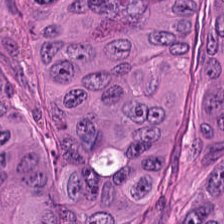224×224 px patch · hematoxylin-and-eosin stained section — Classification — colorectal adenocarcinoma.
